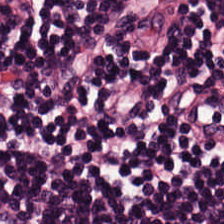Hematoxylin-and-eosin stained section. FFPE. The tissue class is lymphocytic infiltrate.
